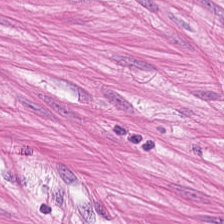Formalin-fixed paraffin-embedded section; 224×224 px tile; H&E — This patch shows muscularis.
